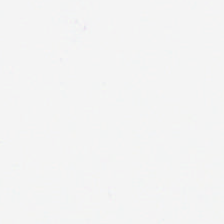Hematoxylin and eosin — Empty field — no tissue.
